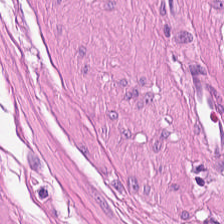Predominantly muscularis.
